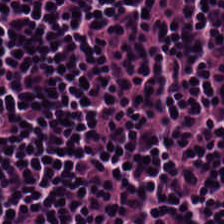Q: What tissue type is shown here?
A: It is lymphoid infiltrate.
